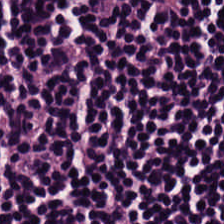224×224 px patch; FFPE tissue section; hematoxylin-and-eosin stained section. Lymphocytes.
